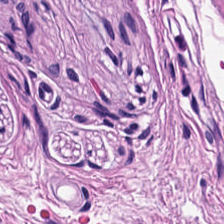H&E-stained tissue section — The tissue type is smooth-muscle tissue.
